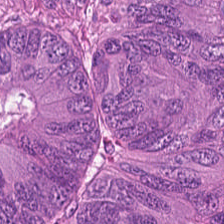Stain: H&E stain.
Tile size: 224×224 pixel tile.
Tissue type: colorectal adenocarcinoma.
